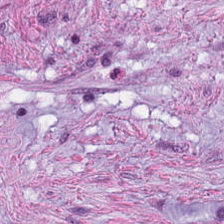H&E patch showing tumor-associated stroma.
